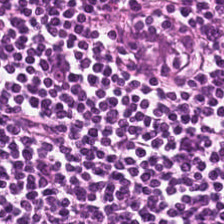Stain: hematoxylin and eosin.
Predominant tissue: lymphocytic infiltrate.
